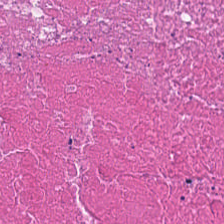Hematoxylin and eosin · 224×224 pixel tile. Showing cellular debris.
